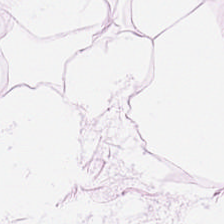Finding → adipocytes.
